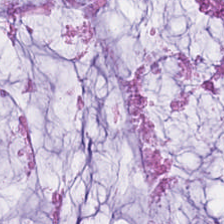Stain: H&E.
Tile size: 224×224 px patch.
Resolution: 20× equivalent magnification.
Tissue class: mucus.
